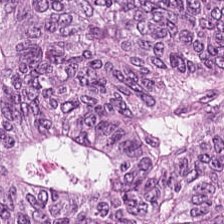Hematoxylin-and-eosin stained section.
Histology — adenocarcinoma.
